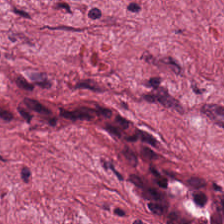H&E — The tissue here is tumor-associated stroma.
